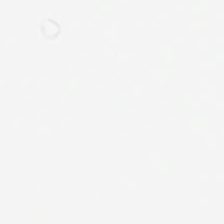Impression → empty background.
